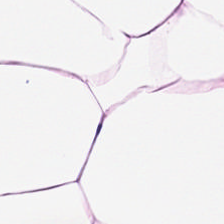H&E-stained tissue section. Q: What is shown here?
A: It is adipose.
